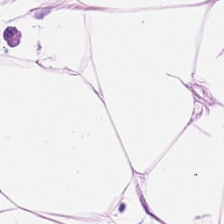H&E — fat tissue.
